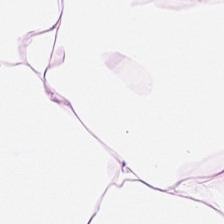H&E-stained tissue section; 0.5 µm per pixel — This patch shows adipocytes.
